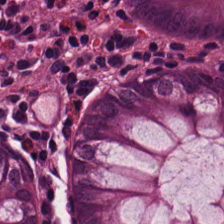Hematoxylin and eosin.
Predominant tissue = normal colonic mucosa.
